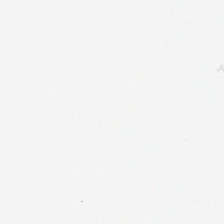Impression → background (no tissue).
